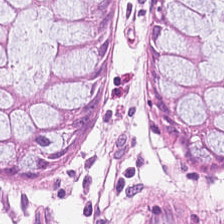Brightfield · H&E-stained tissue section. {"tissue_type": "benign colonic mucosa"}
